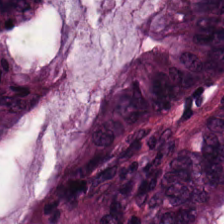0.5 microns per pixel; hematoxylin and eosin. This field is adenocarcinoma.
